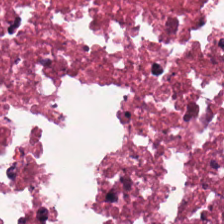Stain: hematoxylin-and-eosin stained section.
Resolution: 20× equivalent magnification.
Acquisition: brightfield.
Predominant tissue: necrotic debris.
